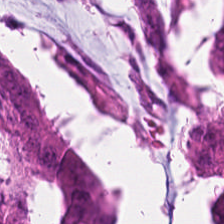H&E-stained tissue section. FFPE tissue section — Histology — colorectal adenocarcinoma epithelium.
